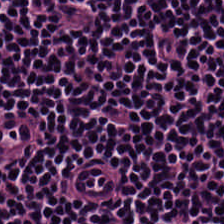H&E. The tissue here is lymphocytic infiltrate.
